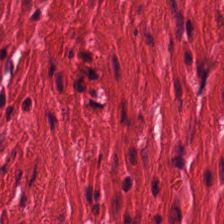224×224 pixel tile · hematoxylin and eosin. This patch shows smooth-muscle tissue.
